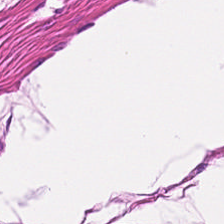Hematoxylin and eosin.
Q: What is shown here?
A: This is smooth-muscle tissue.
